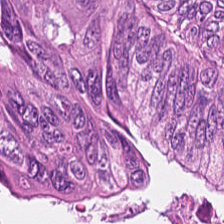Brightfield microscopy; H&E-stained tissue section. This field is malignant epithelium.
